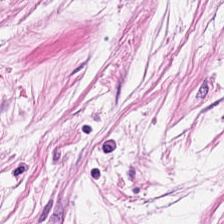Whole-slide-image patch; 224×224 px tile; H&E stain.
Predominantly cancer-associated stroma.
